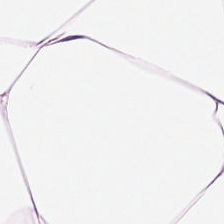Classification — fat tissue.
